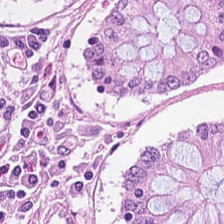H&E stain. The tissue is benign colonic mucosa.
